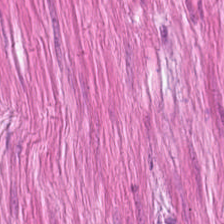Hematoxylin and eosin — Predominantly smooth-muscle tissue.
